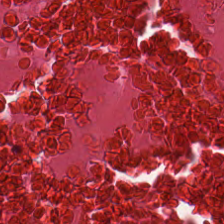H&E-stained tissue section — Q: What is the predominant tissue type?
A: It is cellular debris.
